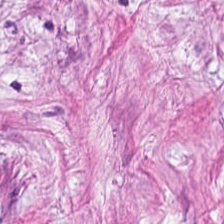Hematoxylin-and-eosin stained section. Showing desmoplastic stroma.
